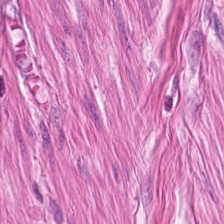Finding — muscularis.
